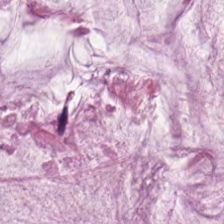Hematoxylin and eosin · whole-slide-image patch — Predominantly mucus.
